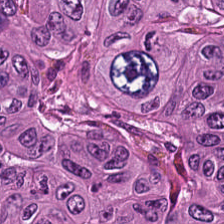Showing malignant epithelium.
